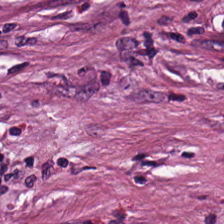{"tissue_type": "desmoplastic stroma"}
